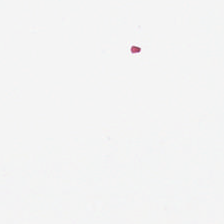Formalin-fixed paraffin-embedded section. 224×224 px patch. H&E-stained tissue section — The classification is empty background.
